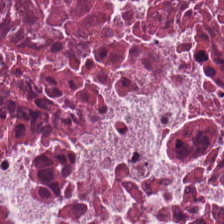Finding — debris.
